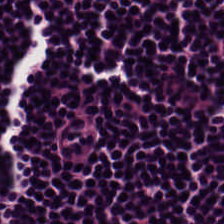H&E-stained tissue section; FFPE; brightfield.
{"tissue_type": "lymphocytes"}
